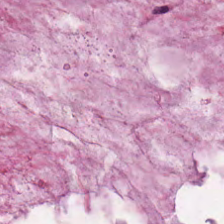Stain: hematoxylin-and-eosin stained section.
Acquisition: whole-slide-image patch.
Preparation: FFPE.
Classification: mucus.
